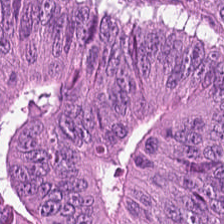Hematoxylin and eosin — The classification is colorectal adenocarcinoma.
